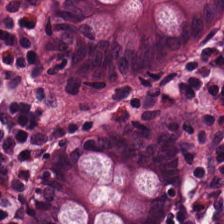Tissue type = benign colonic mucosa.
